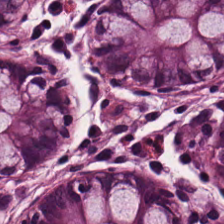H&E patch showing non-neoplastic colon mucosa.
